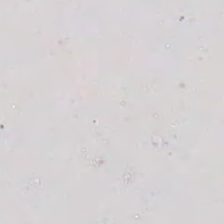Hematoxylin-and-eosin stained section. This field is background (no tissue).
